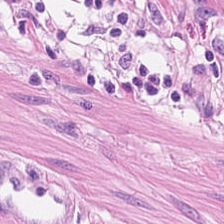Hematoxylin-and-eosin stained section. The tissue here is muscularis.
